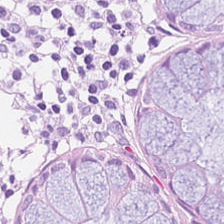Hematoxylin-and-eosin stained section — Tissue: normal colonic mucosa.
